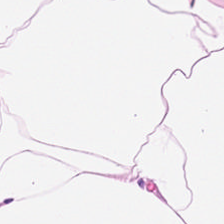FFPE; 0.5 µm/px; H&E — This patch shows adipose tissue.
